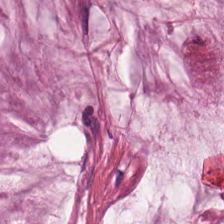Mucus.
